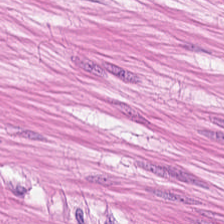Hematoxylin and eosin. Q: Classify this patch.
A: Smooth-muscle tissue.
